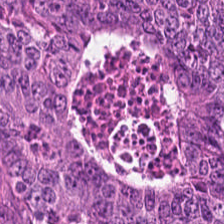224×224 pixel tile · WSI patch · H&E.
Finding — colorectal adenocarcinoma epithelium.
